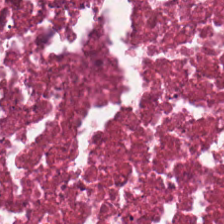0.5 µm/px · H&E — Finding → debris.
